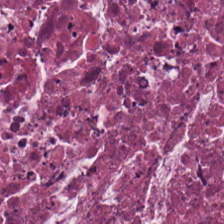H&E stain · FFPE tissue section.
The tissue here is cellular debris.
